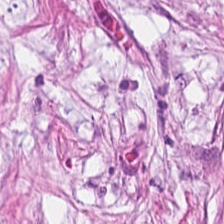H&E-stained tissue section · brightfield microscopy.
Q: What is the predominant tissue type?
A: Tumor stroma.
